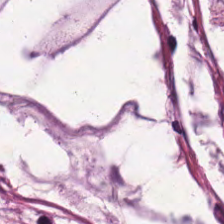Stain: H&E-stained tissue section.
Tissue: extracellular mucin.
